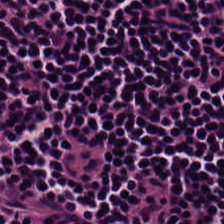Hematoxylin-and-eosin stained section. Showing lymphoid infiltrate.
